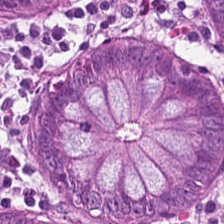224×224 pixel tile · H&E-stained tissue section — Q: What is shown here?
A: The field shows benign colonic mucosa.
